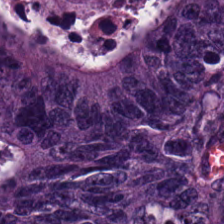224×224 pixel tile; H&E stain; 0.5 microns per pixel — Q: What tissue type is shown here?
A: The field shows adenocarcinoma.
